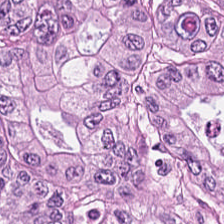Predominantly adenocarcinoma.
